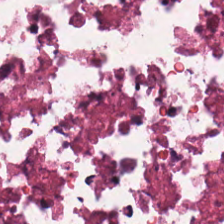Brightfield; hematoxylin and eosin. Histology → cellular debris.
